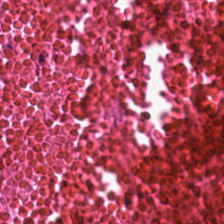FFPE · hematoxylin-and-eosin stained section · brightfield microscopy. Showing necrotic debris.
